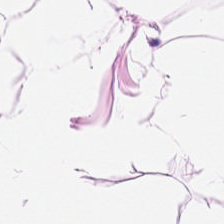Brightfield; 224×224 px tile; hematoxylin-and-eosin stained section. Q: What tissue is shown?
A: This is adipocytes.
